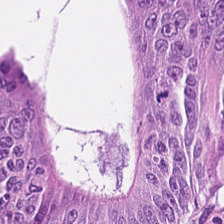H&E stain — The tissue here is colorectal adenocarcinoma.
